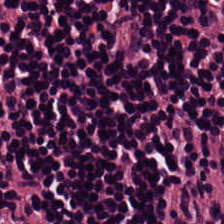H&E — Predominantly lymphocyte aggregate.
